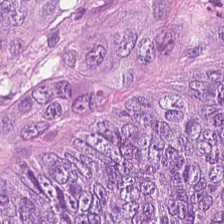224×224 px tile. H&E-stained tissue section. Tissue = tumor epithelium.
